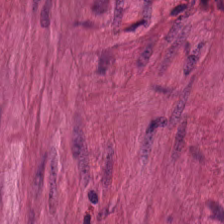Hematoxylin and eosin · 224×224 px tile · FFPE tissue section — This field is smooth-muscle tissue.
